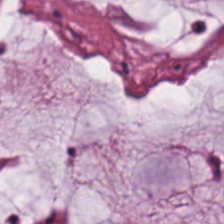H&E-stained section; the field shows mucus.
